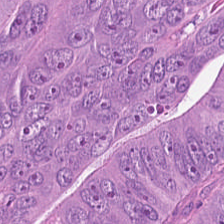0.5 µm/px · H&E. Q: What is shown in this field?
A: It is adenocarcinoma.
